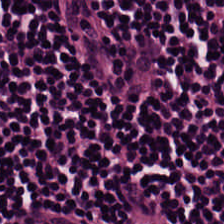H&E stain.
This field is lymphocytic infiltrate.
